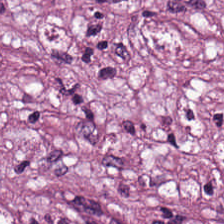0.5 µm/px · H&E stain · whole-slide-image patch. Tissue type = tumor-associated stroma.
